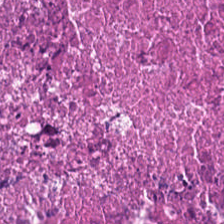20× equivalent magnification. H&E stain.
Tissue class: cellular debris.
